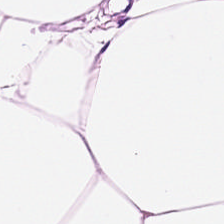H&E-stained tissue section. Tissue type = adipose.
